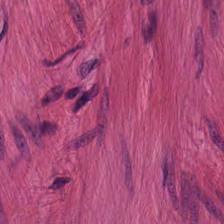Hematoxylin-and-eosin stained section.
Q: What is shown in this field?
A: This is smooth muscle.
